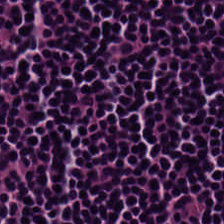Stain: H&E.
Tissue type: lymphocyte aggregate.
